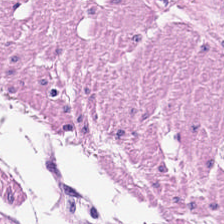Hematoxylin-and-eosin stained section — Classification = muscularis.
